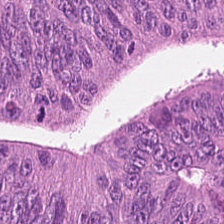The predominant tissue is adenocarcinoma.
